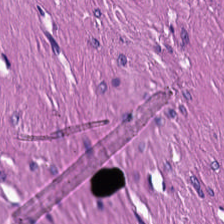Stain: hematoxylin-and-eosin stained section.
Predominant tissue: muscularis.
